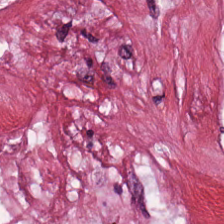Hematoxylin and eosin. 224×224 pixel tile. Tissue = desmoplastic stroma.
